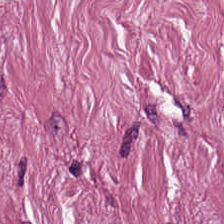H&E-stained tissue section. Brightfield. 0.5 µm per pixel.
{"tissue_type": "cancer-associated stroma"}
